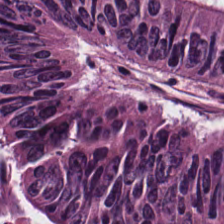H&E-stained tissue section. This patch shows adenocarcinoma.
